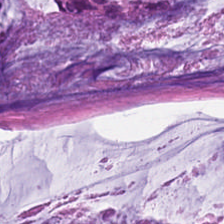Q: Classify this patch.
A: This is extracellular mucin.
